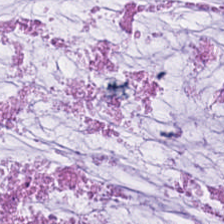H&E — Q: What does this patch show?
A: Mucin.
